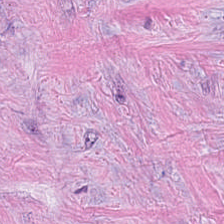Hematoxylin-and-eosin stained section; whole-slide-image patch. This field is cancer-associated stroma.
